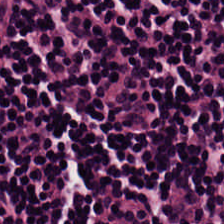Stain: hematoxylin-and-eosin stained section.
Predominant tissue: lymphocytic infiltrate.
